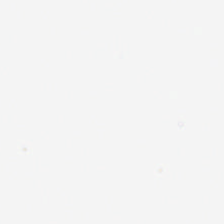Hematoxylin-and-eosin stained section. Classification = background (no tissue).
